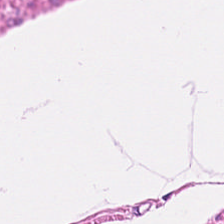Tissue — smooth muscle.
